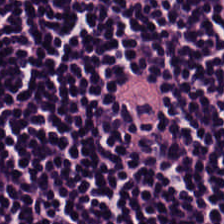H&E. Q: Classify this patch.
A: This is lymphocytes.
